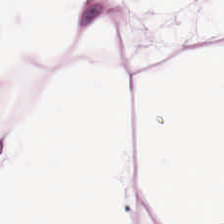H&E stain · brightfield microscopy — Q: Classify this patch.
A: It is fat tissue.
